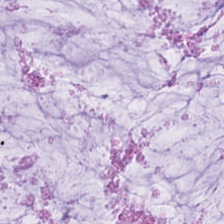Q: What is shown in this field?
A: The field shows mucin.
